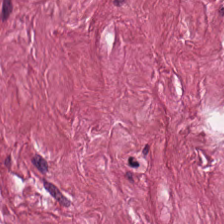H&E-stained tissue section. The tissue here is tumor stroma.
